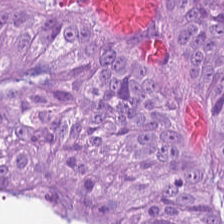H&E.
{"tissue_type": "malignant epithelium"}
